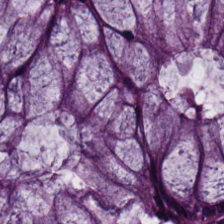H&E; WSI patch. This patch shows non-neoplastic colon mucosa.
